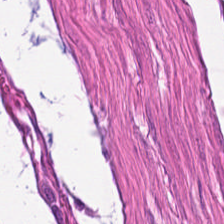{"tissue_type": "smooth muscle"}
